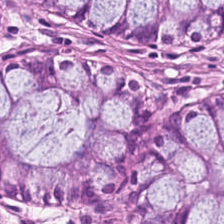Hematoxylin and eosin; brightfield microscopy. Q: What tissue is shown?
A: This is normal colonic mucosa.
